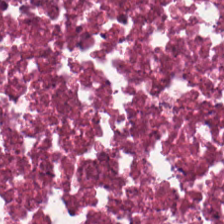H&E-stained tissue section.
Classification: cellular debris.
